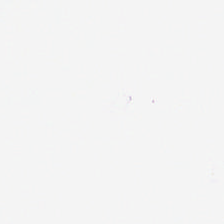224×224 px tile. FFPE tissue section. Hematoxylin-and-eosin stained section.
This patch shows empty background.
